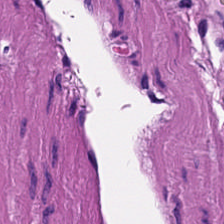H&E. Tissue = smooth muscle.
